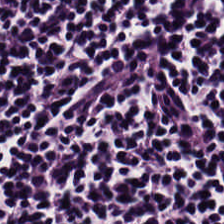0.5 µm/px. Hematoxylin-and-eosin stained section.
Showing lymphocytes.
